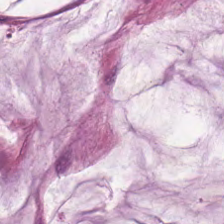H&E.
Predominantly mucus.
